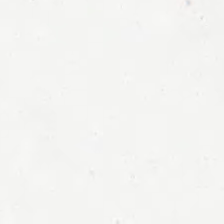Hematoxylin and eosin. FFPE — Content — no tissue.
